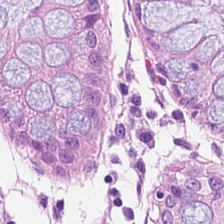Q: What does this patch show?
A: This is normal colon mucosa.
